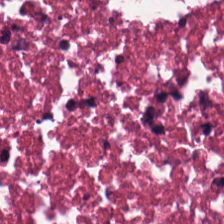H&E-stained tissue section — Finding — necrotic debris.
